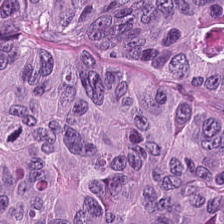H&E — Classification: colorectal adenocarcinoma.
